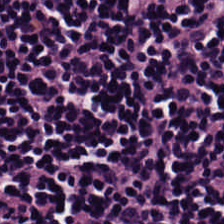Whole-slide-image patch · hematoxylin and eosin · 0.5 µm/px.
Tissue type = lymphoid infiltrate.
